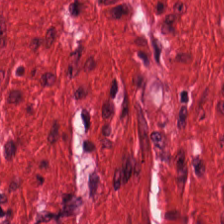H&E. This patch shows smooth muscle.
